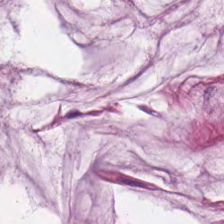Stain: H&E-stained tissue section.
Tissue: mucus.
